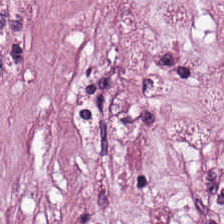Hematoxylin-and-eosin stained section.
The tissue here is cancer-associated stroma.
